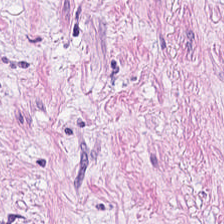Stain: hematoxylin-and-eosin stained section.
Tissue: cancer-associated stroma.
